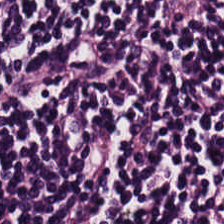Stain: H&E-stained tissue section.
Tile size: 224×224 pixel tile.
Tissue: lymphocyte aggregate.
